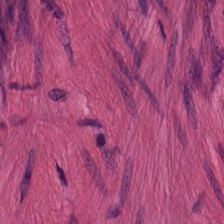224×224 px tile · formalin-fixed paraffin-embedded section · hematoxylin and eosin — Finding → muscularis.
